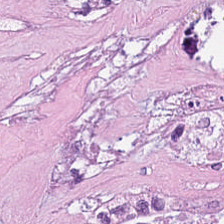Hematoxylin and eosin · 0.5 µm/px. This patch shows debris.
